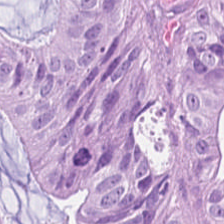FFPE tissue section · WSI patch · H&E-stained tissue section — Tissue type — adenocarcinoma.
